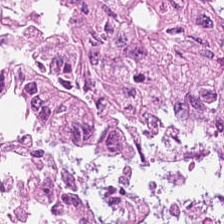H&E-stained tissue section showing colorectal adenocarcinoma.
